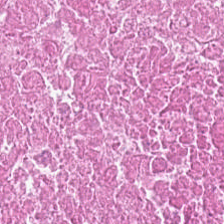Stain: H&E.
Tile size: 224×224 px patch.
Tissue class: cellular debris.
